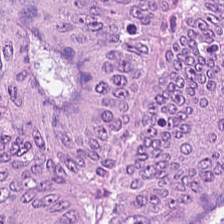H&E-stained tissue section.
Tissue type — colorectal adenocarcinoma.
